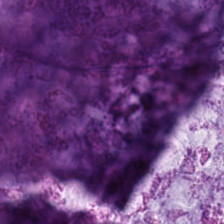Finding — mucus.
